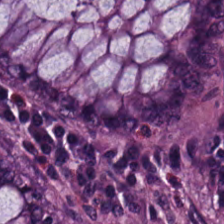H&E · 0.5 µm/px · formalin-fixed paraffin-embedded section. Normal colon mucosa.
